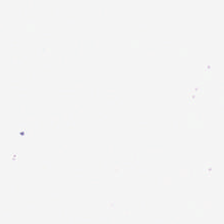Hematoxylin-and-eosin stained section. Finding → background (no tissue).
